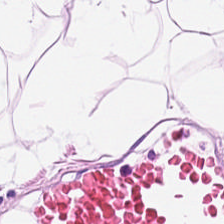H&E · 224×224 px patch · whole-slide-image patch.
Predominantly adipose.
